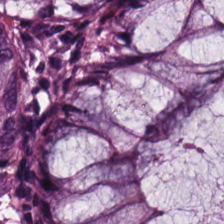Hematoxylin-and-eosin stained section; 0.5 µm/px; 224×224 px patch — Q: What is the predominant tissue type?
A: It is normal colon mucosa.
